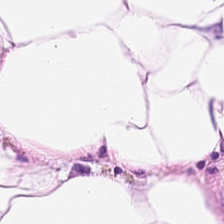H&E-stained tissue section.
Q: What does this patch show?
A: It is fat tissue.
